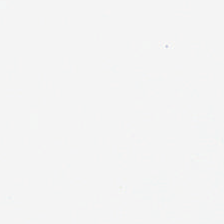FFPE tissue section · H&E.
This field is background (no tissue).
